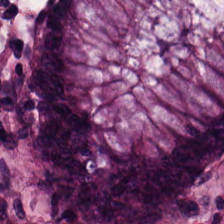0.5 microns per pixel. Hematoxylin-and-eosin stained section — The tissue here is benign colonic mucosa.
